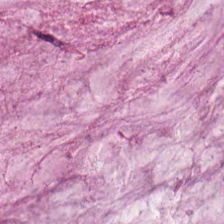Stain: H&E-stained tissue section.
Classification: extracellular mucin.
